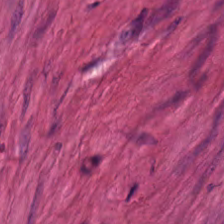Formalin-fixed paraffin-embedded section; hematoxylin and eosin. Q: What type of tissue is this?
A: This is smooth-muscle tissue.
